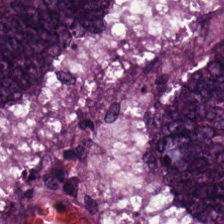0.5 µm per pixel; hematoxylin-and-eosin stained section; FFPE. This field is adenocarcinoma.
